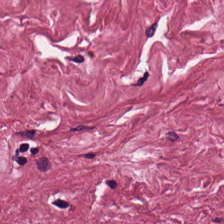224×224 pixel tile. Hematoxylin-and-eosin stained section. FFPE tissue section — Predominantly cancer-associated stroma.
